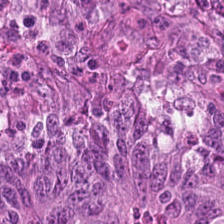Stain: hematoxylin-and-eosin stained section.
Tissue type: adenocarcinoma.
